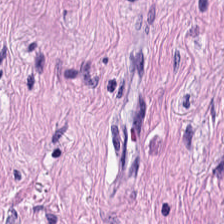Hematoxylin-and-eosin stained section. 0.5 µm/px. Tissue class: smooth-muscle tissue.
